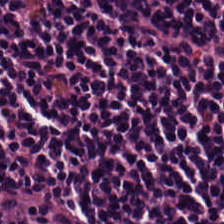Stain: hematoxylin and eosin.
Tissue class: lymphoid infiltrate.
